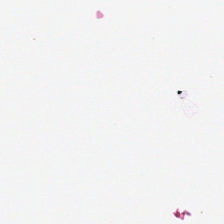This patch shows empty background.
